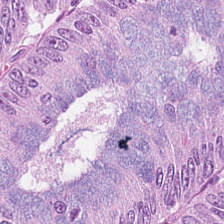224×224 px tile. Hematoxylin and eosin. The tissue here is malignant epithelium.
